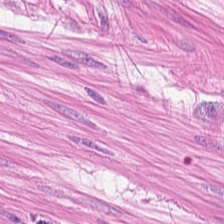H&E stain — The tissue is muscularis.
